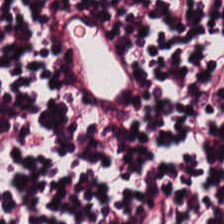Impression → lymphoid infiltrate.
